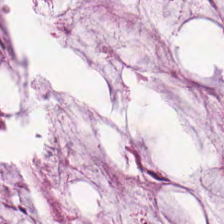H&E; 0.5 µm per pixel. The tissue here is extracellular mucin.
